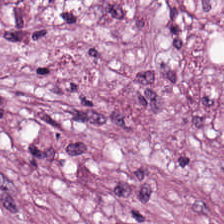224×224 px tile. Hematoxylin and eosin. The predominant tissue is desmoplastic stroma.
